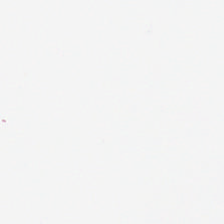H&E · formalin-fixed paraffin-embedded section.
No tissue present; background only.
